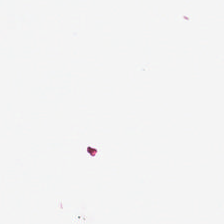Q: Classify this patch.
A: Background (no tissue).
